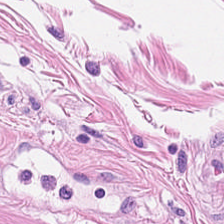Stain: hematoxylin and eosin.
Predominant tissue: smooth muscle.
